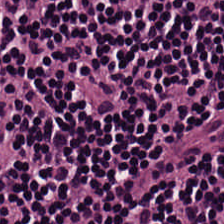Hematoxylin-and-eosin stained section · brightfield microscopy. This field is lymphocytes.
